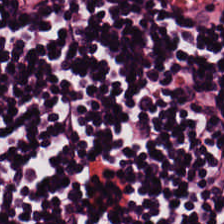Stain: hematoxylin-and-eosin stained section.
Tissue type: lymphocytic infiltrate.
